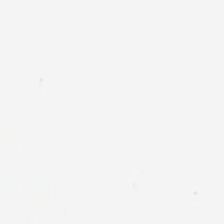Stain: H&E-stained tissue section.
Tile size: 224×224 px patch.
Field content: no tissue.
